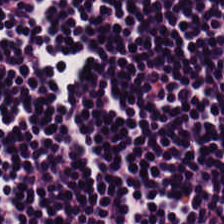Stain: H&E stain.
Tissue class: lymphoid infiltrate.
